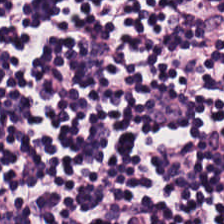Hematoxylin and eosin. Histology — lymphocytes.
